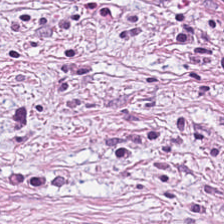Q: What tissue is shown?
A: It is tumor-associated stroma.
